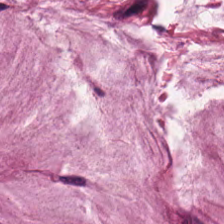H&E-stained tissue section.
The tissue here is mucin.
